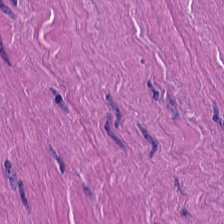H&E patch showing muscularis.
